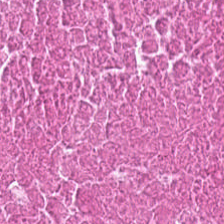H&E. Showing necrotic debris.
